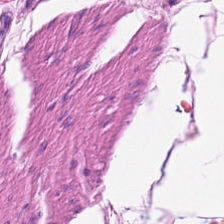Hematoxylin and eosin — The tissue class is muscularis.
